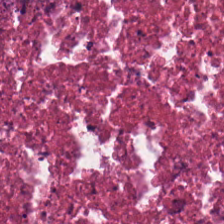This field is debris.
